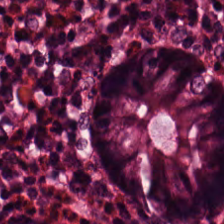H&E-stained section; the field shows normal colonic mucosa.
